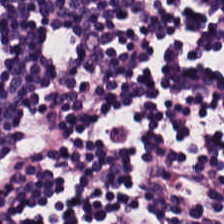H&E stain — This field is lymphocytes.
